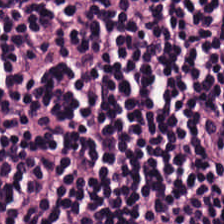H&E. 224×224 pixel tile. The tissue here is lymphocytic infiltrate.
